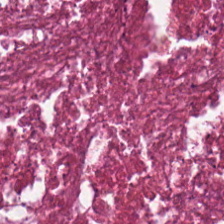Impression → necrotic debris.
